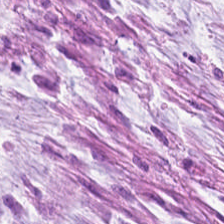H&E stain — Q: What tissue type is shown here?
A: It is mucus.
